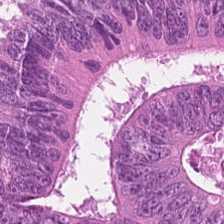H&E stain; WSI patch; 224×224 pixel tile — Showing colorectal adenocarcinoma.
